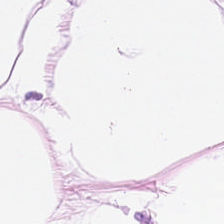Q: What is shown in this field?
A: This is adipose.
